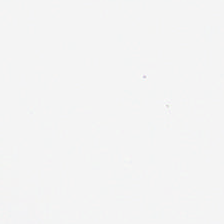Hematoxylin and eosin. No tissue present; background only.
